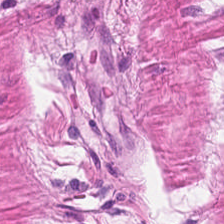Q: Classify this patch.
A: The field shows smooth-muscle tissue.
